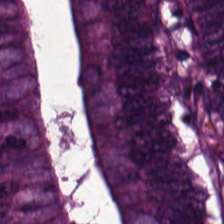Stain: hematoxylin and eosin.
Tissue type: tumor epithelium.
